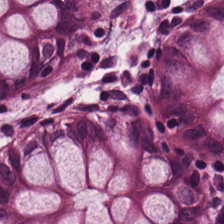Stain: hematoxylin-and-eosin stained section.
Tile size: 224×224 px patch.
Classification: normal colonic mucosa.
